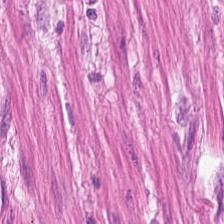H&E. 224×224 px tile. The tissue here is smooth muscle.
